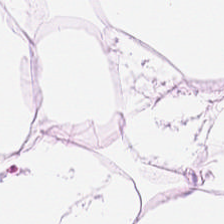WSI patch · H&E.
Adipocytes.
